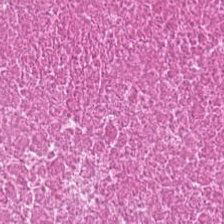224×224 px tile; 0.5 microns per pixel; hematoxylin and eosin. Showing debris.
